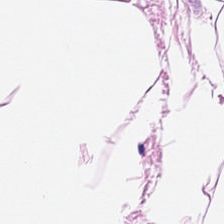H&E-stained tissue section. Q: What is shown in this field?
A: The field shows fat tissue.
